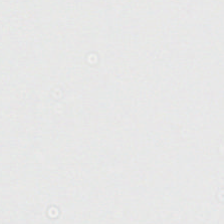Hematoxylin and eosin.
Background (no tissue).
